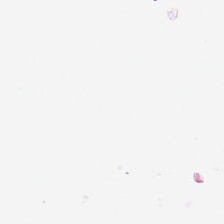H&E-stained tissue section — Q: Classify this patch.
A: This is background.
